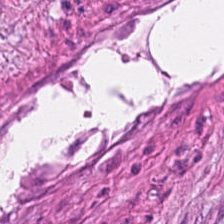0.5 microns per pixel. WSI patch. Hematoxylin and eosin.
This patch shows tumor-associated stroma.
